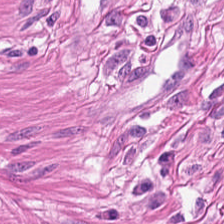H&E stain. Tissue = muscularis.
